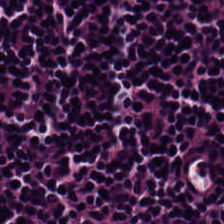224×224 pixel tile · hematoxylin and eosin · formalin-fixed paraffin-embedded section.
Classification — lymphocytic infiltrate.
